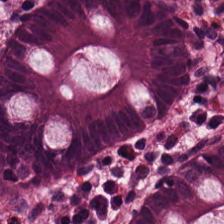224×224 px tile; brightfield; hematoxylin-and-eosin stained section.
The predominant tissue is normal colonic mucosa.
